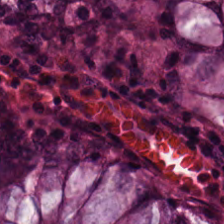Hematoxylin-and-eosin stained section.
Tissue = normal colonic mucosa.
